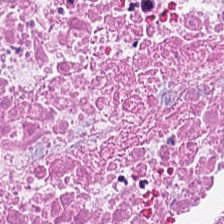H&E stain. This field is necrotic debris.
